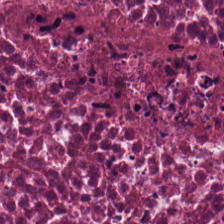H&E-stained tissue section.
Q: What type of tissue is this?
A: Necrotic debris.
